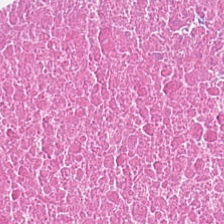The tissue type is necrotic debris.
